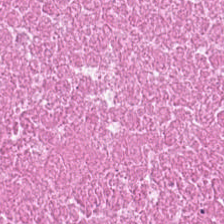The tissue class is cellular debris.
